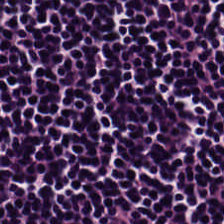H&E stain; brightfield microscopy.
Predominantly lymphocytic infiltrate.
